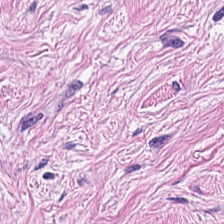H&E.
Predominant tissue = cancer-associated stroma.
